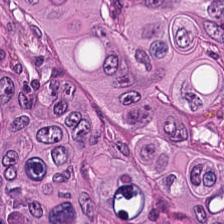H&E. Finding → tumor epithelium.
